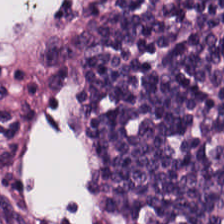Hematoxylin-and-eosin stained section. Q: Classify this patch.
A: This is lymphocytic infiltrate.
